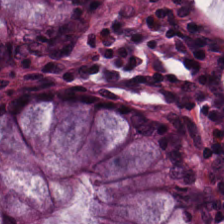This field is non-neoplastic colon mucosa.
